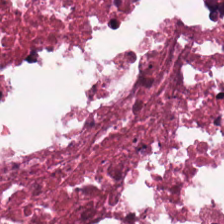H&E. Histology → cellular debris.
